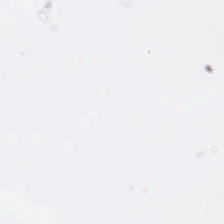Formalin-fixed paraffin-embedded section · 20× equivalent magnification · H&E stain.
{"content": "no tissue"}
